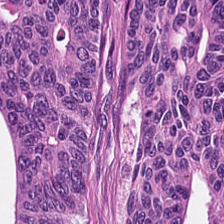H&E.
Q: What is the predominant tissue type?
A: It is adenocarcinoma.
